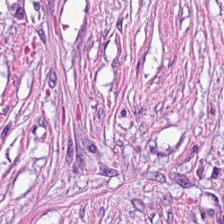FFPE · 224×224 pixel tile · H&E stain — Predominant tissue — cancer-associated stroma.
